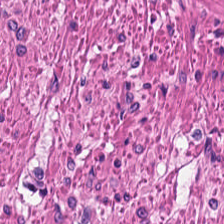H&E-stained tissue section.
Histology → smooth muscle.
